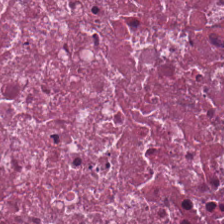Brightfield · H&E stain. Q: What does this patch show?
A: The field shows necrotic debris.
